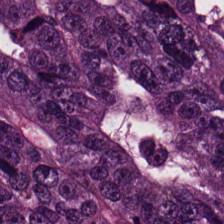Hematoxylin and eosin.
Q: What is the predominant tissue type?
A: It is colorectal adenocarcinoma.
